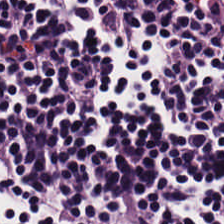FFPE tissue section; WSI patch; hematoxylin and eosin.
Finding → lymphocytic infiltrate.
